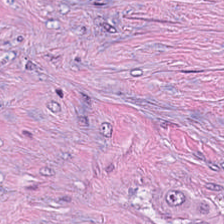The predominant tissue is tumor stroma.
